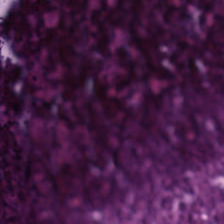Hematoxylin-and-eosin stained section. This field is necrotic debris.
